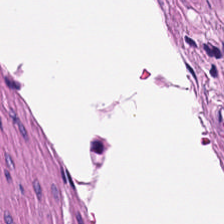H&E-stained tissue section — Tissue class = smooth muscle.
